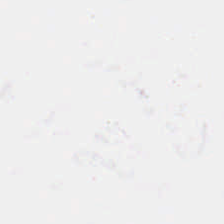Stain: hematoxylin and eosin.
Field content: background.
